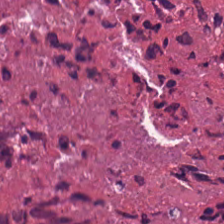Stain: H&E stain.
Tile size: 224×224 px patch.
Tissue type: debris.
